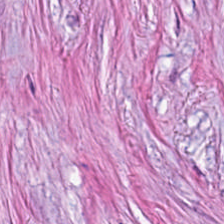Hematoxylin and eosin — This field is desmoplastic stroma.
